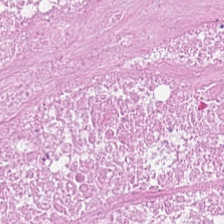{"tissue_type": "cellular debris"}
